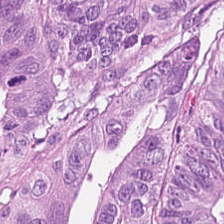Hematoxylin and eosin — Tissue: tumor epithelium.
